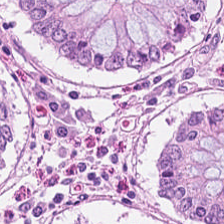H&E stain.
Tissue class = benign colonic mucosa.
